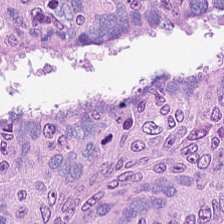Hematoxylin-and-eosin stained section · 224×224 pixel tile. This patch shows colorectal adenocarcinoma.
